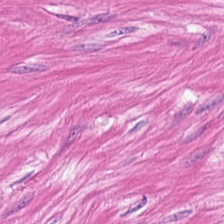H&E stain · brightfield microscopy · 224×224 px tile — {"tissue_type": "smooth muscle"}
